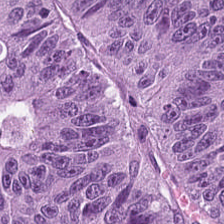Showing malignant epithelium.
